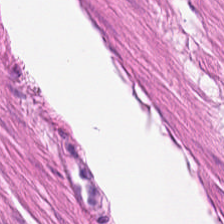The predominant tissue is muscularis.
